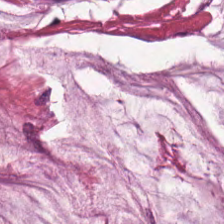H&E stain. FFPE. 224×224 px patch — Q: What tissue is shown?
A: This is extracellular mucin.
